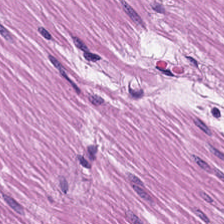Smooth muscle.
